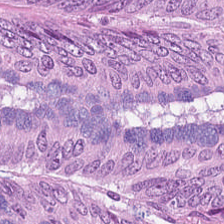H&E stain. 224×224 pixel tile. {"tissue_type": "tumor epithelium"}
